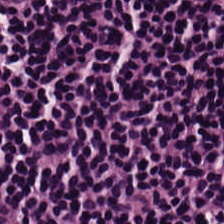Q: What does this patch show?
A: This is lymphoid infiltrate.
